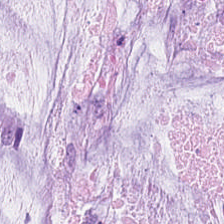H&E stain. Impression — extracellular mucin.
